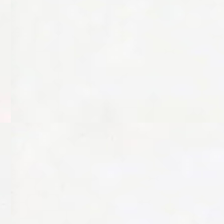Stain: hematoxylin-and-eosin stained section.
Field content: background (no tissue).
